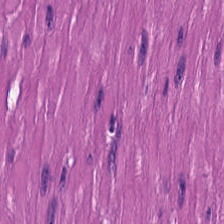Stain: H&E-stained tissue section.
Tissue type: smooth-muscle tissue.
